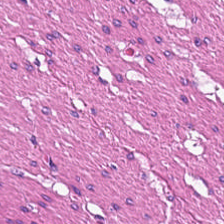Hematoxylin and eosin. Showing smooth-muscle tissue.
